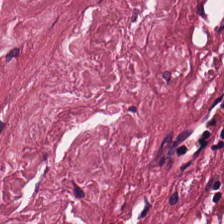Hematoxylin and eosin — This field is desmoplastic stroma.
